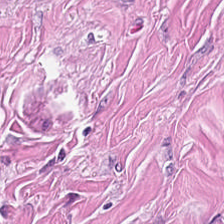Hematoxylin-and-eosin stained section · FFPE · 224×224 px patch.
Q: What is shown in this field?
A: Tumor-associated stroma.
